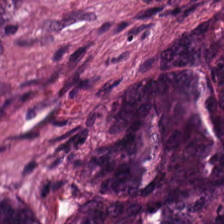H&E stain — The predominant tissue is adenocarcinoma.
